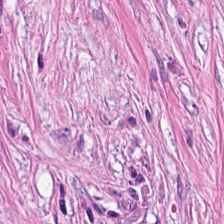H&E — tumor stroma.
